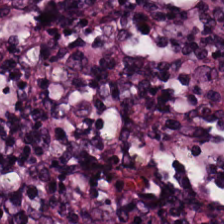Hematoxylin-and-eosin stained section.
Impression — lymphocyte aggregate.
